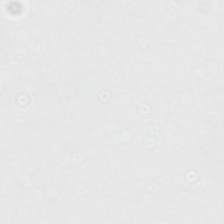Hematoxylin and eosin. FFPE tissue section.
Background — no tissue in this field.
